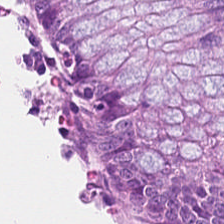Q: What is shown here?
A: The field shows normal colon mucosa.
